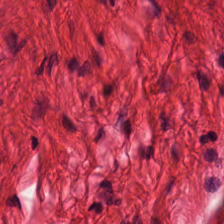H&E — Q: What tissue is shown?
A: This is muscularis.
